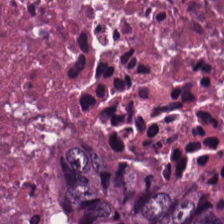H&E.
This patch shows cellular debris.
